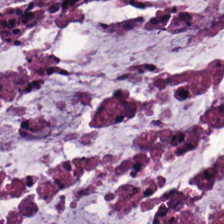H&E-stained tissue section. The tissue is mucin.
